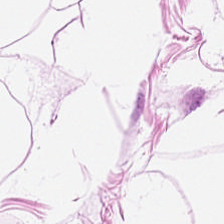Formalin-fixed paraffin-embedded section; hematoxylin and eosin — The predominant tissue is fat tissue.
